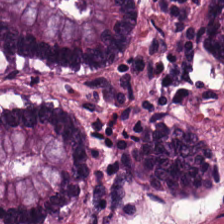224×224 px patch; H&E stain — The predominant tissue is normal colon mucosa.
